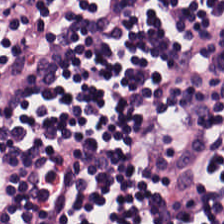H&E stain. The tissue is lymphoid infiltrate.
